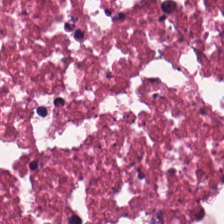FFPE tissue section. 224×224 pixel tile. H&E-stained tissue section. This field is necrotic debris.
